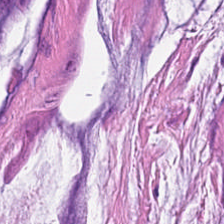Hematoxylin-and-eosin stained section — Q: What is shown in this field?
A: This is mucin.
